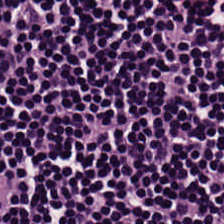Stain: H&E.
Tissue: lymphocyte aggregate.
